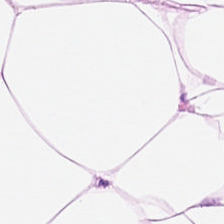224×224 px tile; hematoxylin and eosin.
Predominant tissue: fat tissue.
